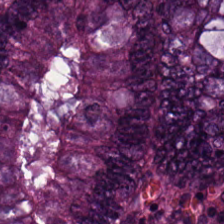20× equivalent magnification. H&E. Predominantly colorectal adenocarcinoma.
